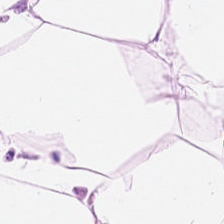Q: What is shown in this field?
A: The field shows adipose.
